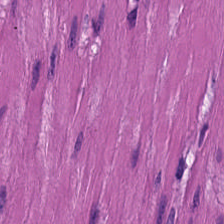Tissue class: muscularis.
